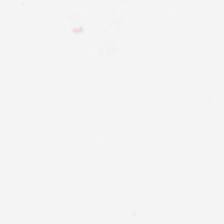Brightfield microscopy; H&E.
Field content — background (no tissue).
